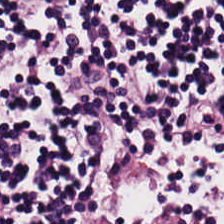H&E · FFPE tissue section.
The tissue here is lymphoid infiltrate.
